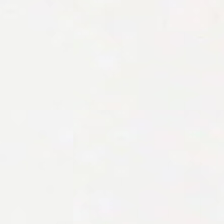H&E — This patch shows empty background.
